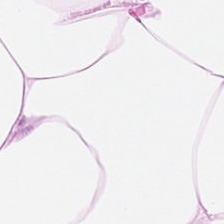H&E-stained section; the field shows fat tissue.
